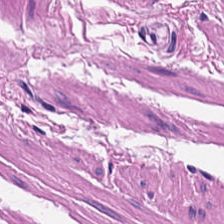Hematoxylin and eosin.
Showing muscularis.
